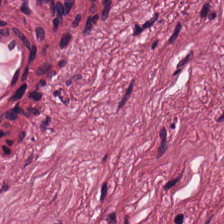Hematoxylin and eosin. Predominantly tumor stroma.
